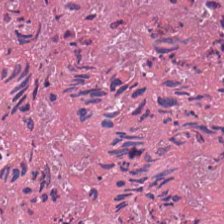Whole-slide-image patch. H&E-stained tissue section — This field is necrotic debris.
